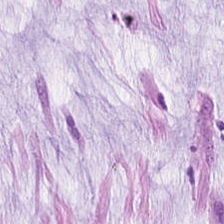H&E-stained tissue section. Histology — mucin.
